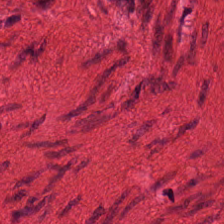H&E. Tissue = muscularis.
